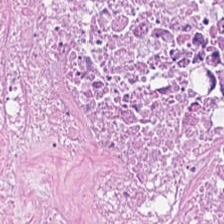H&E. This field is debris.
